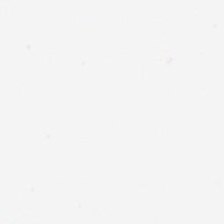Hematoxylin-and-eosin stained section — Classification — no tissue.
